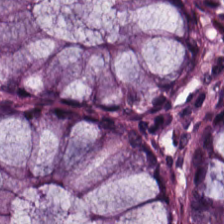H&E-stained tissue section. The predominant tissue is benign colonic mucosa.
